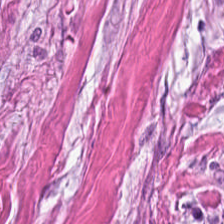H&E-stained tissue section — Q: What is shown here?
A: Cancer-associated stroma.
